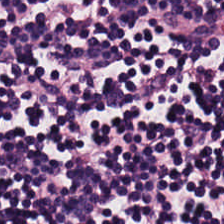224×224 pixel tile; hematoxylin and eosin; brightfield microscopy. {"tissue_type": "lymphocyte aggregate"}
